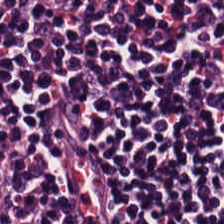Q: What does this patch show?
A: It is lymphocytic infiltrate.
